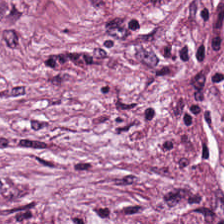H&E — {"tissue_type": "cancer-associated stroma"}
